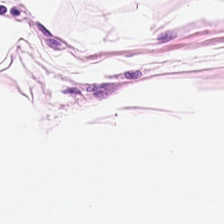Hematoxylin and eosin. Impression → adipose tissue.
